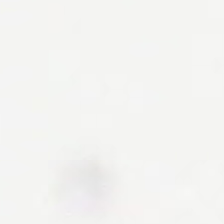{"content": "background"}
